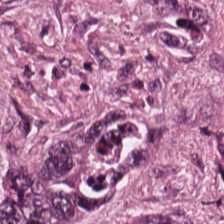Stain: H&E-stained tissue section.
Preparation: FFPE tissue section.
Classification: colorectal adenocarcinoma.
